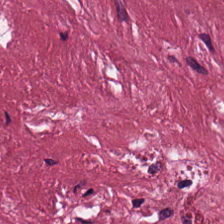20× equivalent magnification; hematoxylin and eosin — The predominant tissue is tumor-associated stroma.
